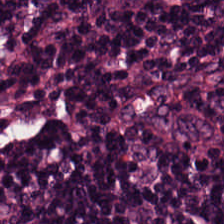Hematoxylin and eosin. Q: What is shown here?
A: Lymphocyte aggregate.
